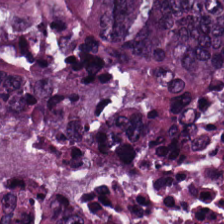H&E — Q: What does this patch show?
A: It is colorectal adenocarcinoma.
